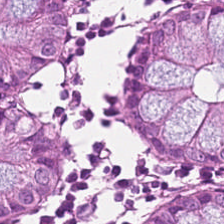224×224 px tile. Hematoxylin-and-eosin stained section. The tissue class is benign colonic mucosa.
